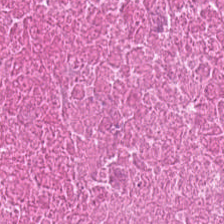H&E. This patch shows necrotic debris.
